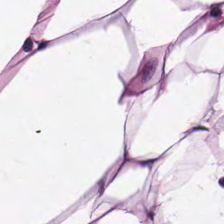Q: What tissue type is shown here?
A: The field shows adipose.
